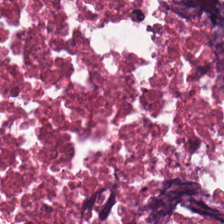H&E stain.
Q: What type of tissue is this?
A: This is cellular debris.
